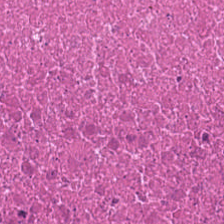Stain: H&E-stained tissue section.
Classification: debris.
